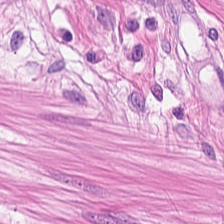This field is smooth-muscle tissue.
